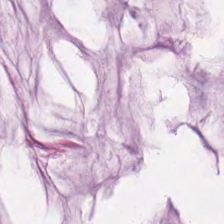Stain: hematoxylin-and-eosin stained section.
Tissue type: extracellular mucin.
